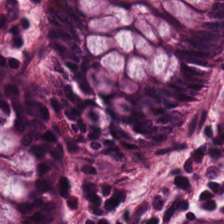H&E-stained tissue section — This patch shows non-neoplastic colon mucosa.
